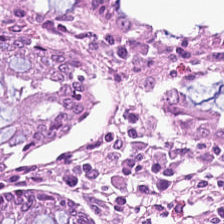Stain: H&E.
Tissue class: normal colonic mucosa.
